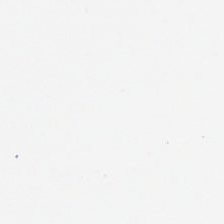Hematoxylin and eosin · 224×224 px tile — {"content": "background"}
